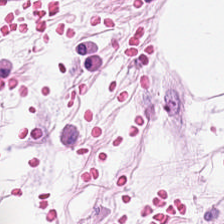H&E-stained tissue section — Tissue = adipose.
